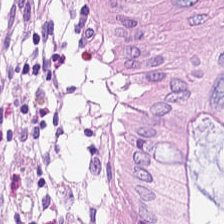H&E. 0.5 microns per pixel. The predominant tissue is non-neoplastic colon mucosa.
